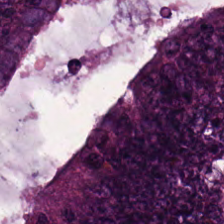H&E-stained tissue section.
Finding → malignant epithelium.
